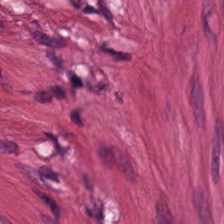Hematoxylin-and-eosin section: smooth-muscle tissue.
